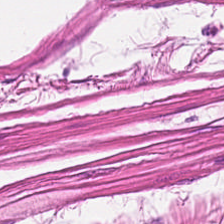Stain: H&E stain.
Predominant tissue: smooth-muscle tissue.
